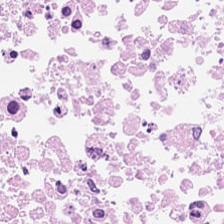Stain: H&E-stained tissue section.
Predominant tissue: debris.
